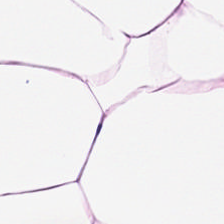H&E — Q: What is shown in this field?
A: The field shows fat tissue.
